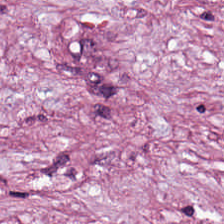Hematoxylin-and-eosin section: cancer-associated stroma.
